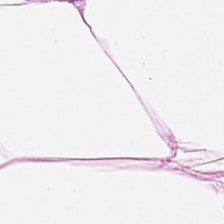Hematoxylin and eosin — {"tissue_type": "fat tissue"}
